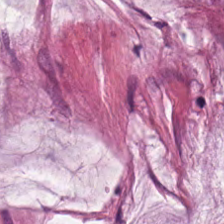Q: What is shown here?
A: The field shows extracellular mucin.
